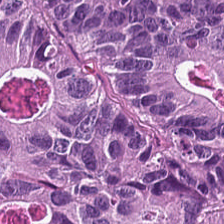0.5 µm/px; hematoxylin and eosin; FFPE tissue section. {"tissue_type": "malignant epithelium"}
